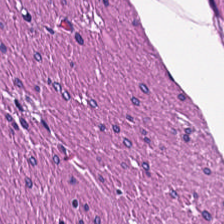Stain: H&E.
Classification: muscularis.
